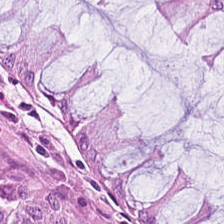Hematoxylin-and-eosin stained section. The classification is normal colon mucosa.
